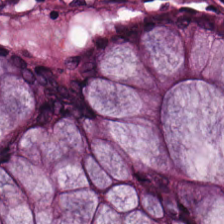Hematoxylin-and-eosin stained section. Tissue type = normal colonic mucosa.
